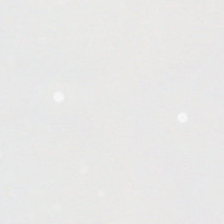H&E stain.
Q: Classify this patch.
A: This is empty background.
